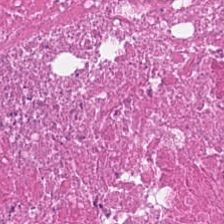The predominant tissue is debris.
